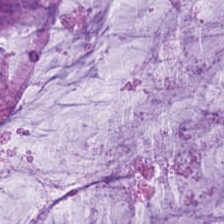FFPE tissue section; H&E.
The tissue class is mucus.
